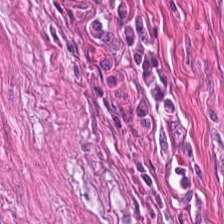Hematoxylin and eosin. The predominant tissue is smooth muscle.
